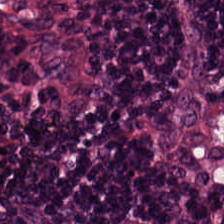Hematoxylin-and-eosin stained section. 224×224 pixel tile. The predominant tissue is lymphocytes.
